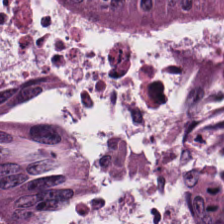Stain: H&E-stained tissue section.
Tissue type: malignant epithelium.
